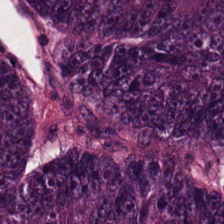The predominant tissue is tumor epithelium.
